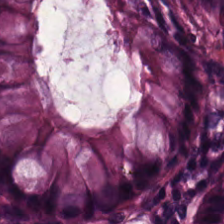Hematoxylin-and-eosin stained section.
Q: What does this patch show?
A: It is normal colon mucosa.
